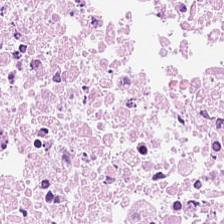Hematoxylin and eosin.
This field is necrotic debris.
